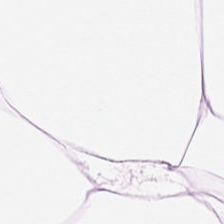Predominantly fat tissue.
